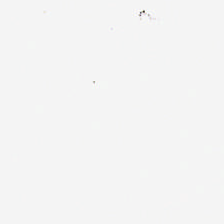FFPE; H&E stain.
No tissue present; background only.
